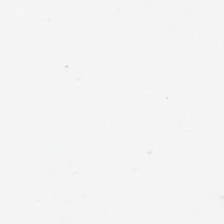FFPE tissue section · H&E stain · 224×224 px patch. Background — no tissue in this field.
